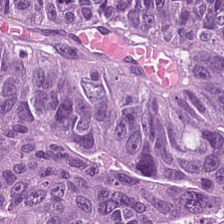H&E — Classification — colorectal adenocarcinoma.
